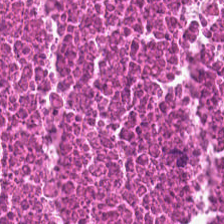H&E-stained tissue section. FFPE tissue section. Necrotic debris.
